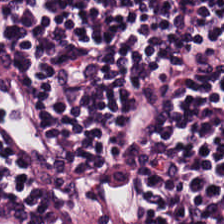Brightfield microscopy · H&E. {"tissue_type": "lymphocyte aggregate"}
